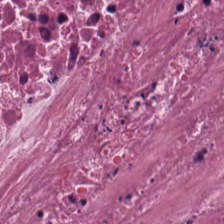Predominant tissue: necrotic debris.
